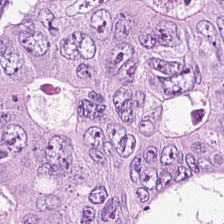Formalin-fixed paraffin-embedded section. H&E stain.
Q: What is the predominant tissue type?
A: The field shows adenocarcinoma.
